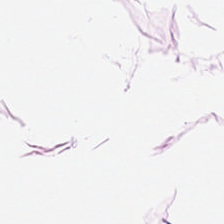224×224 px tile; hematoxylin and eosin.
Histology — adipose.
